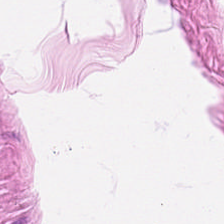Hematoxylin and eosin — Q: What type of tissue is this?
A: This is smooth-muscle tissue.
